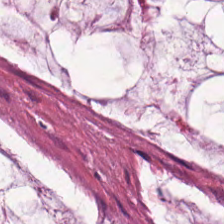H&E-stained tissue section. Tissue type — extracellular mucin.
